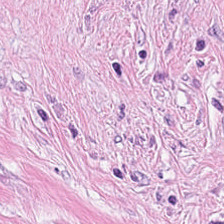Stain: H&E stain.
Resolution: 0.5 µm/px.
Acquisition: WSI patch.
Classification: tumor stroma.
